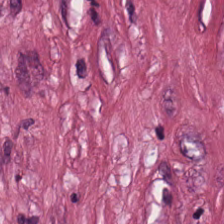20× equivalent magnification · H&E stain.
Impression → cancer-associated stroma.
